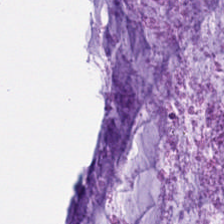H&E-stained tissue section — The tissue class is mucus.
